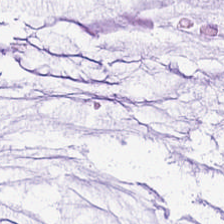0.5 µm/px. H&E stain. Formalin-fixed paraffin-embedded section. The classification is mucin.
